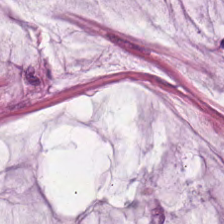Hematoxylin-and-eosin stained section.
Tissue: extracellular mucin.
